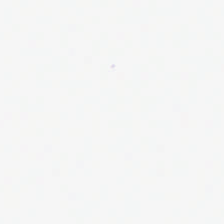Hematoxylin-and-eosin stained section.
Histology → background (no tissue).
